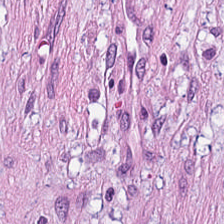Hematoxylin-and-eosin stained section — The predominant tissue is tumor-associated stroma.
